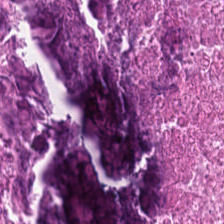The predominant tissue is debris.
